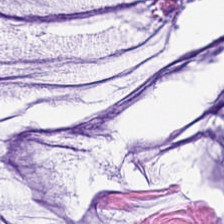224×224 px patch · H&E stain · formalin-fixed paraffin-embedded section.
Finding — mucus.
